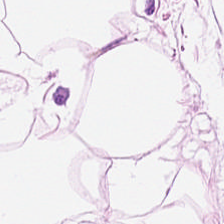Stain: H&E-stained tissue section.
Tissue: fat tissue.
